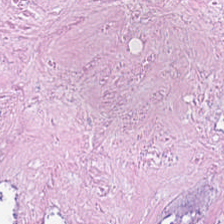Classification — debris.
